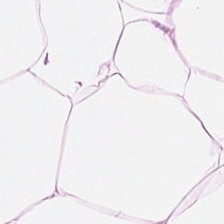Hematoxylin-and-eosin stained section. Showing fat tissue.
